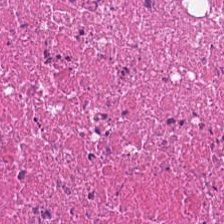Hematoxylin-and-eosin stained section; 0.5 µm/px.
This patch shows cellular debris.
